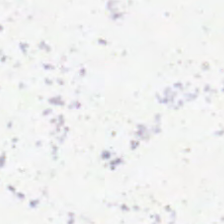Background (no tissue).
